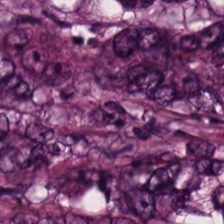WSI patch · H&E-stained tissue section — Predominantly adenocarcinoma.
